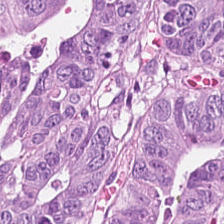0.5 microns per pixel · 224×224 pixel tile · hematoxylin and eosin.
Histology — malignant epithelium.
